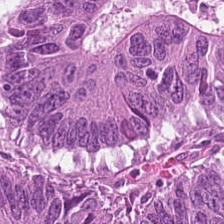Impression — adenocarcinoma.
